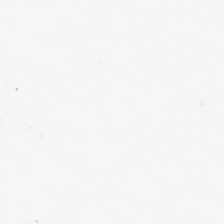WSI patch · hematoxylin and eosin. Finding → no tissue.
